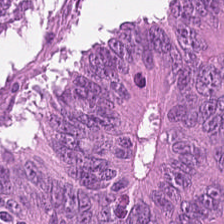H&E-stained tissue section. 224×224 pixel tile. Brightfield — Predominant tissue = malignant epithelium.
